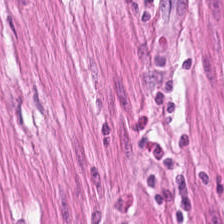H&E stain. Tissue class = smooth muscle.
